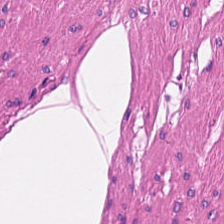Brightfield · H&E stain.
Tissue type: smooth-muscle tissue.
